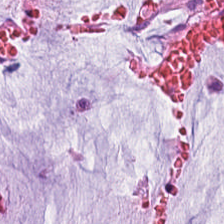Stain: H&E stain.
Tissue type: extracellular mucin.
